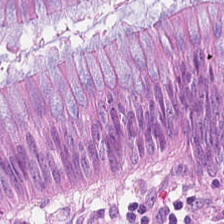This patch shows tumor epithelium.
